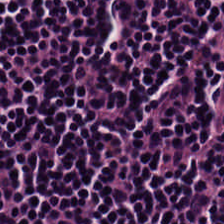Q: What does this patch show?
A: The field shows lymphocytic infiltrate.
